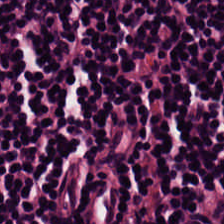224×224 pixel tile · H&E.
The predominant tissue is lymphocytic infiltrate.
